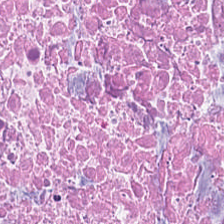H&E-stained tissue section showing necrotic debris.
